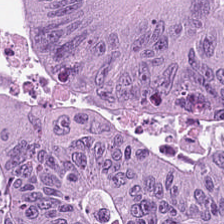Finding → colorectal adenocarcinoma.
